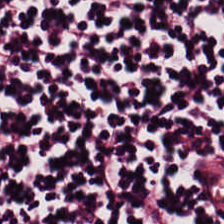H&E-stained section; the field shows lymphocytes.
